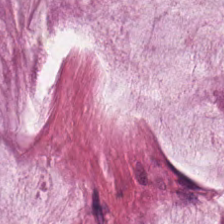224×224 px tile · FFPE · hematoxylin and eosin — Mucin.
